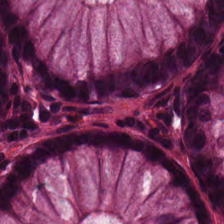Hematoxylin-and-eosin stained section. This patch shows normal colon mucosa.
